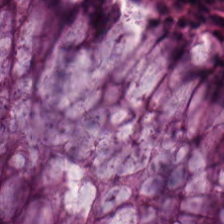Stain: H&E stain.
Preparation: FFPE tissue section.
Tissue: non-neoplastic colon mucosa.
